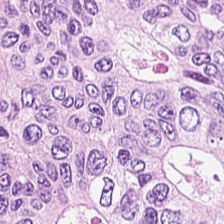Hematoxylin-and-eosin stained section; 224×224 px tile. {"tissue_type": "malignant epithelium"}
